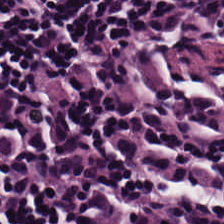H&E.
Tissue class — lymphocytic infiltrate.
